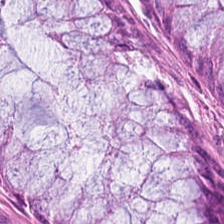The predominant tissue is normal colon mucosa.
